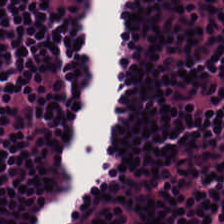H&E.
Showing lymphocytic infiltrate.
